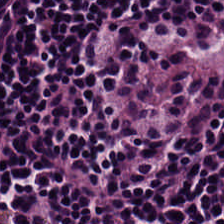H&E stain. 224×224 px tile.
Impression — lymphocytes.
